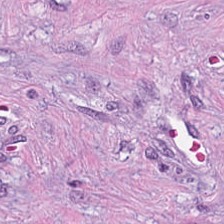Hematoxylin-and-eosin stained section. FFPE tissue section. 224×224 px patch — Predominantly desmoplastic stroma.
